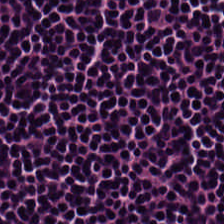H&E stain. Tissue: lymphocytic infiltrate.
